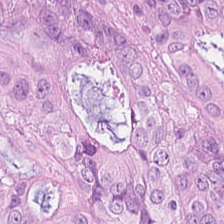FFPE tissue section · H&E stain — Tissue type — tumor epithelium.
